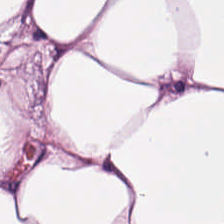H&E stain.
Tissue type — adipose.
